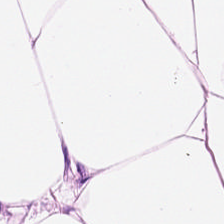Hematoxylin-and-eosin stained section.
Fat tissue.
